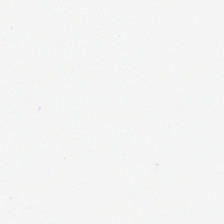H&E-stained tissue section · 20× equivalent magnification. {"content": "no tissue"}
